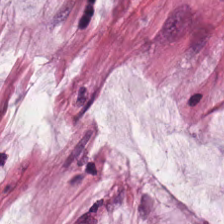Whole-slide-image patch. H&E stain — The tissue here is mucin.
